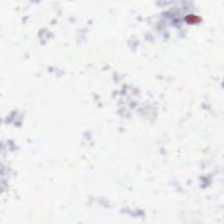H&E-stained tissue section. This field is background (no tissue).
